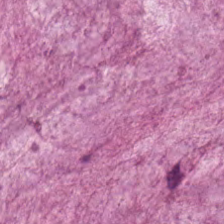This patch shows mucin.
